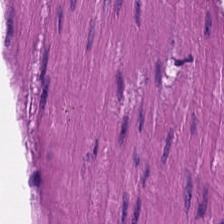Stain: H&E-stained tissue section.
Tissue type: smooth muscle.
